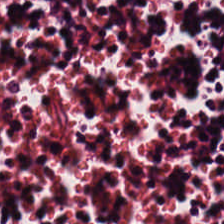H&E-stained tissue section.
Lymphocyte aggregate.
